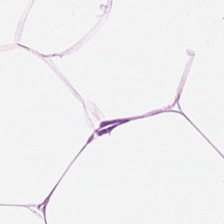FFPE · H&E · 224×224 px patch. The tissue here is adipocytes.
